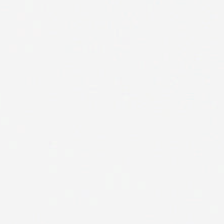0.5 µm per pixel · H&E-stained tissue section · brightfield.
Classification — empty background.
